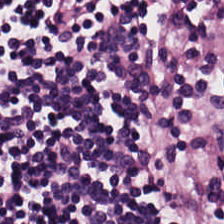H&E-stained tissue section. Formalin-fixed paraffin-embedded section.
Showing lymphocytes.
